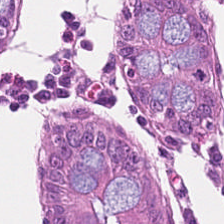H&E stain — The predominant tissue is normal colonic mucosa.
